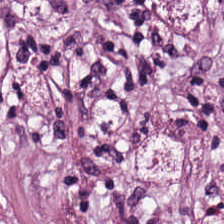H&E stain · WSI patch — Predominant tissue — tumor-associated stroma.
